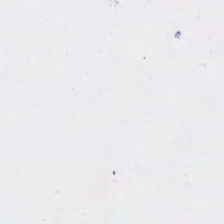FFPE · whole-slide-image patch · H&E stain.
This field is background (no tissue).
